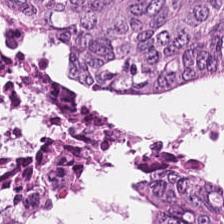H&E stain — Q: What tissue type is shown here?
A: Colorectal adenocarcinoma.
